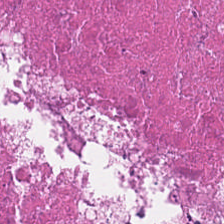H&E — debris.
